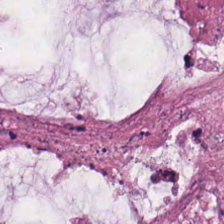Q: What does this patch show?
A: Extracellular mucin.
